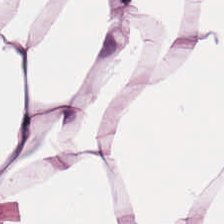Formalin-fixed paraffin-embedded section · H&E-stained tissue section.
This patch shows adipose tissue.
